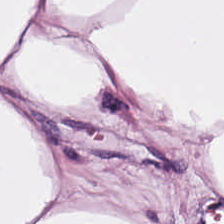Hematoxylin-and-eosin stained section. 0.5 µm/px. WSI patch — The predominant tissue is adipocytes.
